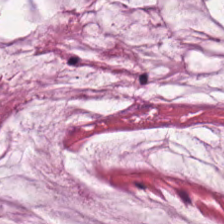Q: What type of tissue is this?
A: It is mucus.
